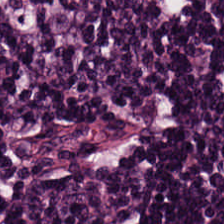0.5 µm/px; hematoxylin and eosin — The predominant tissue is lymphocytes.
